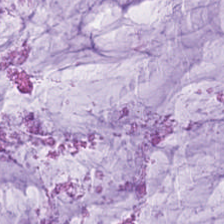Hematoxylin-and-eosin stained section.
Q: What does this patch show?
A: This is extracellular mucin.
